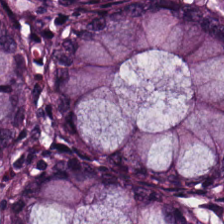Hematoxylin-and-eosin stained section.
This patch shows normal colonic mucosa.
